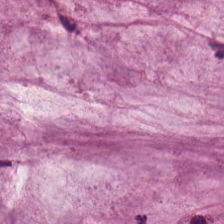Stain: H&E.
Preparation: FFPE.
Acquisition: whole-slide-image patch.
Tissue class: mucin.
